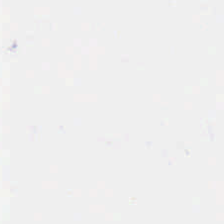0.5 µm per pixel · H&E stain — This patch shows no tissue.
